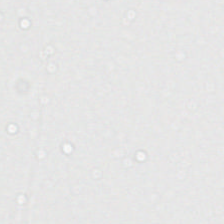Empty field — empty background.
